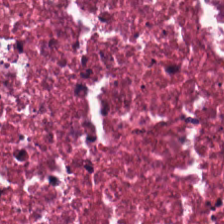Tissue class — cellular debris.
